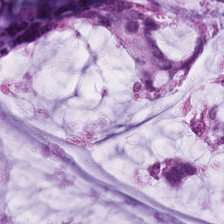0.5 µm per pixel. Hematoxylin and eosin — This patch shows mucin.
